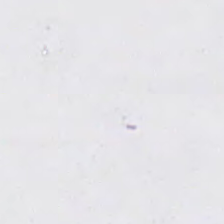H&E. 224×224 px tile. 0.5 µm per pixel. No tissue present; background only.
